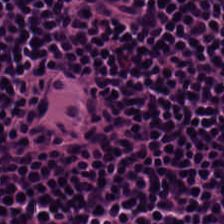Brightfield; hematoxylin-and-eosin stained section. This patch shows lymphocytes.
